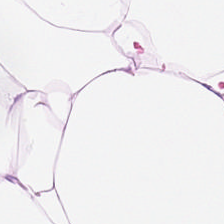H&E. 0.5 microns per pixel. Formalin-fixed paraffin-embedded section.
Q: Identify the tissue.
A: Adipose tissue.
